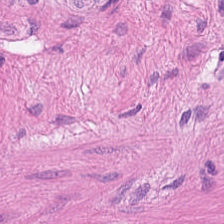Tissue = muscularis.
